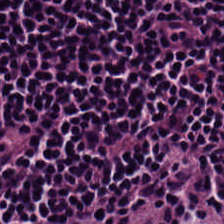Stain: H&E.
Tile size: 224×224 px tile.
Tissue class: lymphocyte aggregate.
